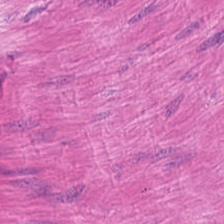H&E-stained tissue section — Predominant tissue: smooth-muscle tissue.
